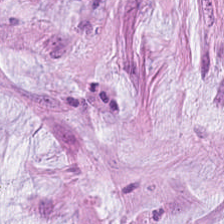Formalin-fixed paraffin-embedded section · hematoxylin and eosin — This field is mucus.
